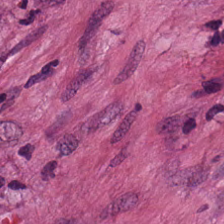Tissue class: tumor-associated stroma.
